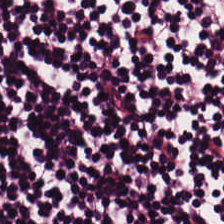Stain: H&E-stained tissue section.
Predominant tissue: lymphoid infiltrate.
